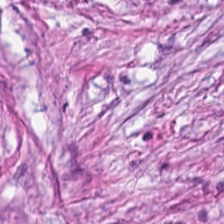{"tissue_type": "tumor-associated stroma"}
